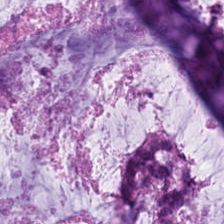0.5 µm/px; H&E — Predominant tissue — extracellular mucin.
